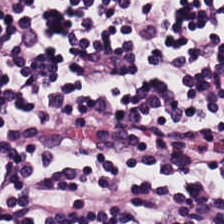Classification — lymphocytic infiltrate.
